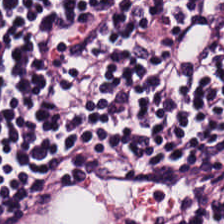H&E; brightfield; FFPE tissue section. Lymphocytes.
